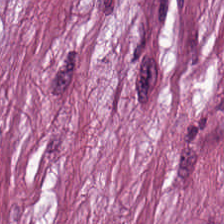0.5 microns per pixel · H&E-stained tissue section — The predominant tissue is desmoplastic stroma.
